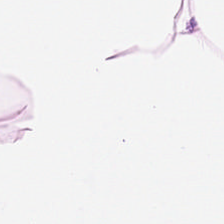H&E stain.
The tissue is fat tissue.
